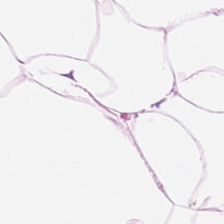Formalin-fixed paraffin-embedded section. Hematoxylin-and-eosin stained section.
Tissue type — fat tissue.
